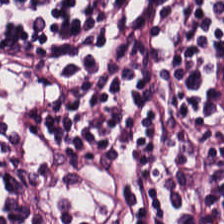Formalin-fixed paraffin-embedded section · 0.5 microns per pixel · hematoxylin-and-eosin stained section.
Q: What is the predominant tissue type?
A: It is lymphocytic infiltrate.
